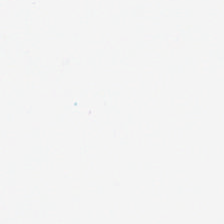Hematoxylin and eosin — This patch shows background.
